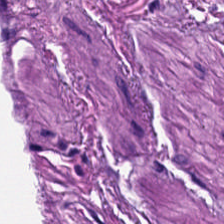Stain: hematoxylin and eosin.
Tile size: 224×224 px patch.
Preparation: FFPE.
Tissue type: muscularis.
